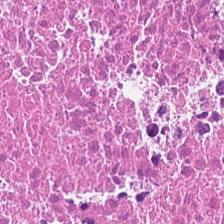224×224 px patch · hematoxylin and eosin.
Q: What does this patch show?
A: Necrotic debris.
